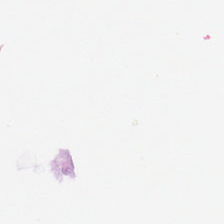Histology — no tissue.
